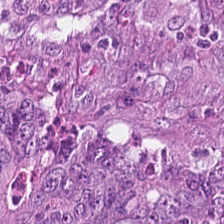224×224 pixel tile; H&E.
{"tissue_type": "tumor epithelium"}
